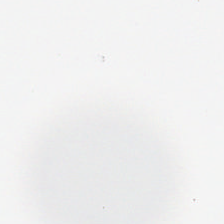Q: Classify this patch.
A: It is background.
